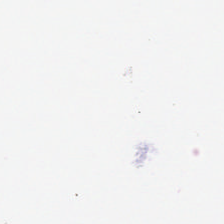This patch shows no tissue.
